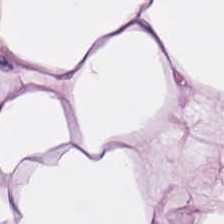Hematoxylin and eosin.
Predominantly adipose.
